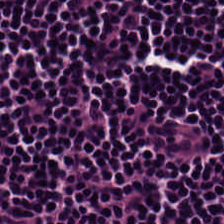H&E — Classification — lymphocyte aggregate.
